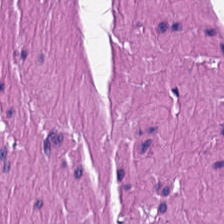H&E — This patch shows smooth-muscle tissue.
